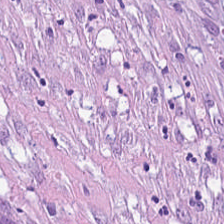Formalin-fixed paraffin-embedded section · hematoxylin and eosin — The predominant tissue is tumor-associated stroma.
